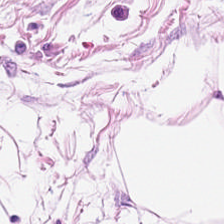H&E-stained tissue section; brightfield microscopy; FFPE tissue section — Predominant tissue = adipose.
